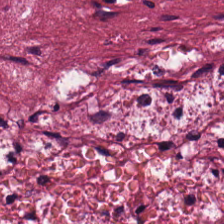Tumor stroma.
